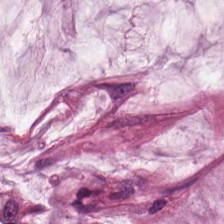Q: What type of tissue is this?
A: It is extracellular mucin.
